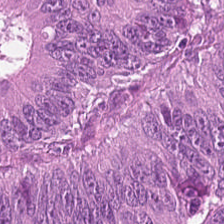Hematoxylin and eosin.
Adenocarcinoma.
